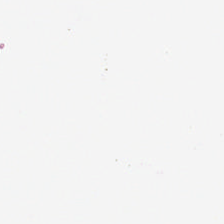Hematoxylin and eosin. Q: What is shown in this field?
A: The field shows background.
